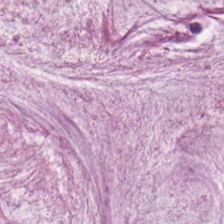H&E-stained tissue section.
Q: What is shown in this field?
A: The field shows mucus.
